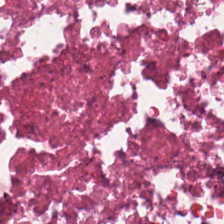Classification = necrotic debris.
